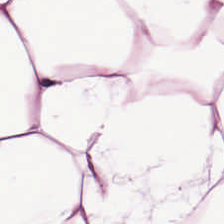The predominant tissue is fat tissue.
